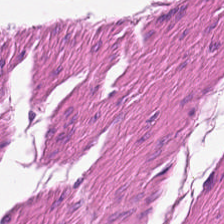Hematoxylin and eosin. Classification — muscularis.
